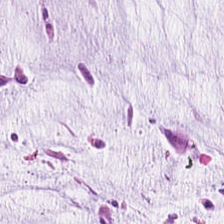Hematoxylin-and-eosin stained section — Impression → extracellular mucin.
